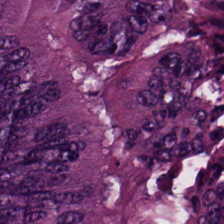Brightfield microscopy · H&E. Q: What tissue type is shown here?
A: It is adenocarcinoma.
